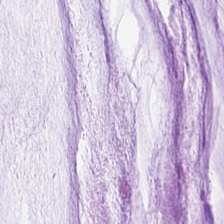Stain: H&E.
Resolution: 20× equivalent magnification.
Acquisition: WSI patch.
Tissue: mucus.
